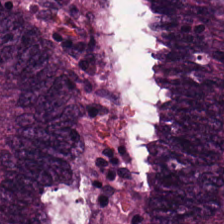Hematoxylin and eosin — Impression → adenocarcinoma.
